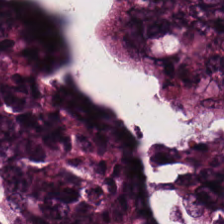The tissue here is tumor epithelium.
